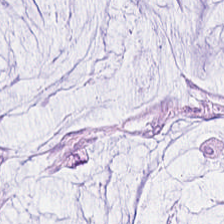H&E-stained tissue section.
The tissue here is extracellular mucin.
